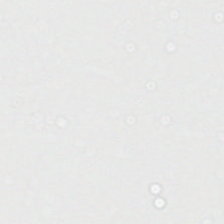H&E; 0.5 µm per pixel — Q: What is shown in this field?
A: No tissue.
